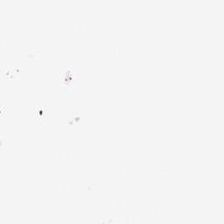Stain: hematoxylin and eosin.
Field content: empty background.
